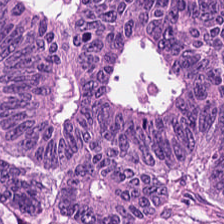H&E.
Colorectal adenocarcinoma epithelium.
